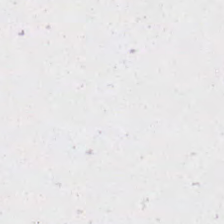H&E. 0.5 microns per pixel. 224×224 px tile. Q: Classify this patch.
A: This is empty background.
